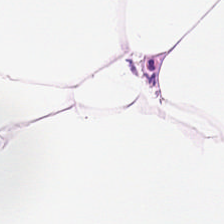Hematoxylin-and-eosin stained section. 0.5 µm/px.
Q: Classify this patch.
A: Adipocytes.
